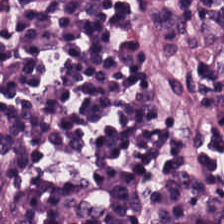Hematoxylin and eosin — Showing lymphocytes.
